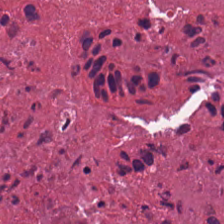H&E-stained tissue section — Q: What does this patch show?
A: The field shows debris.
